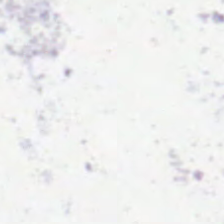WSI patch; 224×224 px patch; H&E stain — {"content": "no tissue"}
